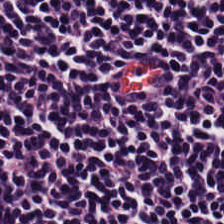H&E stain — Tissue class — lymphocyte aggregate.
